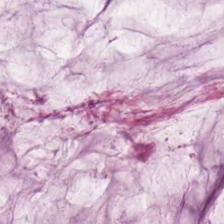The predominant tissue is mucin.
